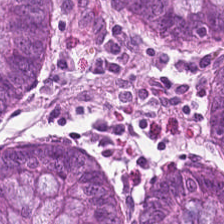0.5 microns per pixel. H&E-stained tissue section.
Showing benign colonic mucosa.
